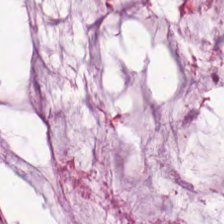H&E-stained tissue section — Q: What is the predominant tissue type?
A: It is extracellular mucin.
